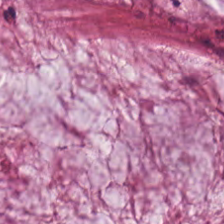H&E-stained tissue section.
The predominant tissue is mucin.
